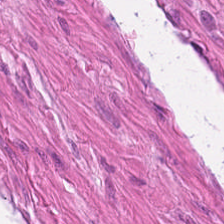Smooth-muscle tissue.
